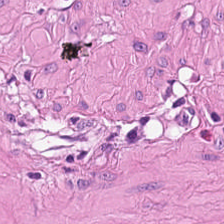Hematoxylin-and-eosin section: smooth-muscle tissue.
